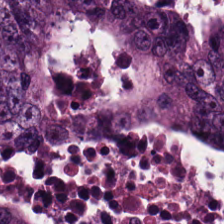The tissue is malignant epithelium.
